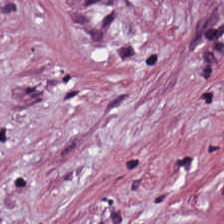Hematoxylin-and-eosin section: desmoplastic stroma.
